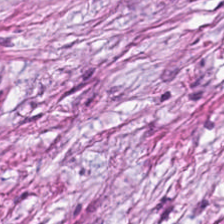Predominant tissue = desmoplastic stroma.
